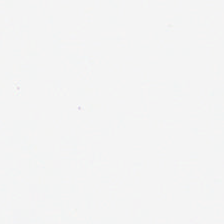Hematoxylin and eosin — No tissue present; background only.
